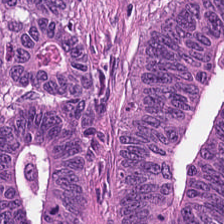Hematoxylin and eosin — Colorectal adenocarcinoma epithelium.
